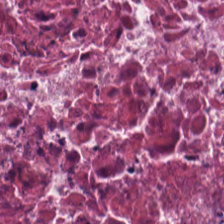H&E stain.
This patch shows cellular debris.
